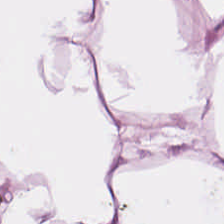H&E-stained tissue section.
The classification is adipose tissue.
